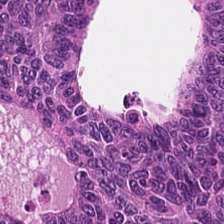FFPE tissue section. 224×224 px patch. H&E stain.
Showing malignant epithelium.
